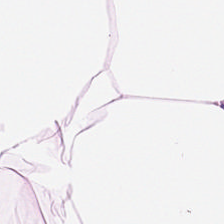Hematoxylin-and-eosin stained section — {"tissue_type": "adipocytes"}
